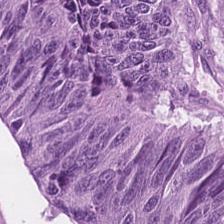{"tissue_type": "adenocarcinoma"}
